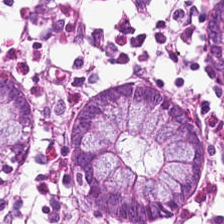Hematoxylin and eosin. Finding — normal colon mucosa.
